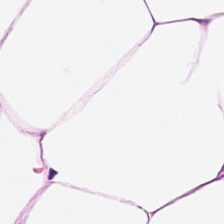H&E — Impression — adipose.
